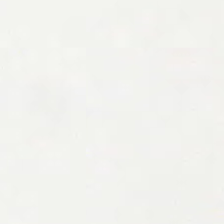Q: Classify this patch.
A: This is empty background.
